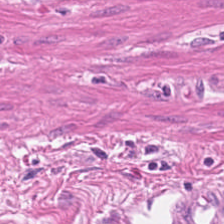H&E; 224×224 px patch; brightfield microscopy. This patch shows smooth-muscle tissue.
